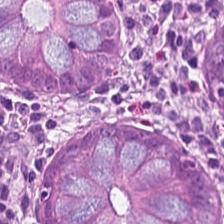Hematoxylin-and-eosin stained section. Predominantly non-neoplastic colon mucosa.
